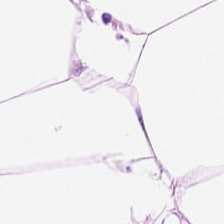H&E.
Tissue type = fat tissue.
